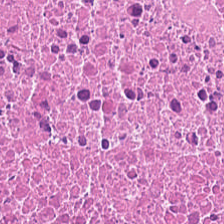H&E-stained tissue section. Finding — necrotic debris.
